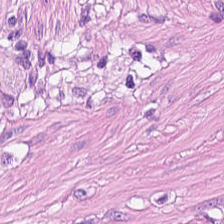224×224 px tile; H&E-stained tissue section. This field is smooth muscle.
